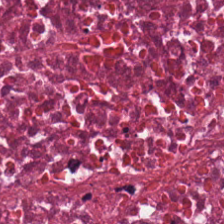H&E — Predominant tissue — cellular debris.
